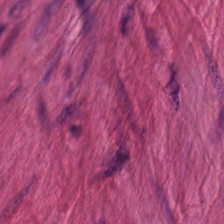Tissue class: smooth muscle.
